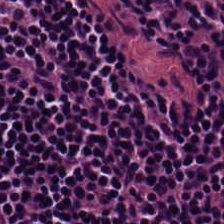224×224 px patch; H&E stain; brightfield.
Tissue class — lymphoid infiltrate.
